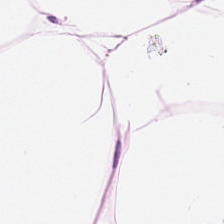H&E stain — This field is adipocytes.
